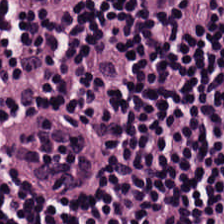Predominant tissue — lymphocytes.
